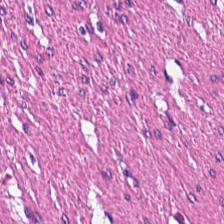Formalin-fixed paraffin-embedded section · 20× equivalent magnification · H&E-stained tissue section — This field is muscularis.
